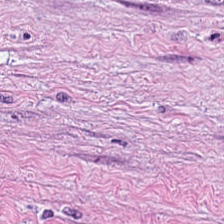Q: What is shown in this field?
A: It is tumor-associated stroma.
